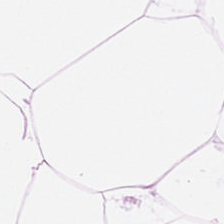Stain: H&E.
Tissue type: fat tissue.
